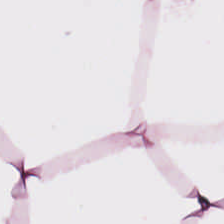Stain: H&E stain.
Tissue: adipocytes.
